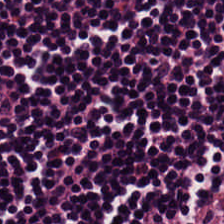H&E-stained tissue section — Predominantly lymphocyte aggregate.
